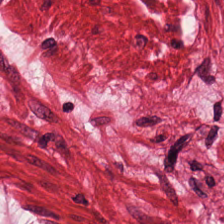Classification = smooth-muscle tissue.
